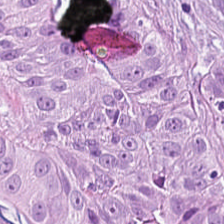Tissue class — tumor epithelium.
